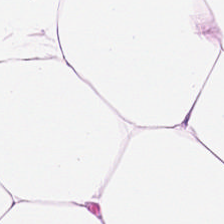0.5 microns per pixel; hematoxylin and eosin. Q: What type of tissue is this?
A: Adipocytes.
